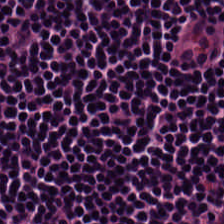Hematoxylin and eosin; 0.5 microns per pixel.
Q: What is the predominant tissue type?
A: Lymphocyte aggregate.
